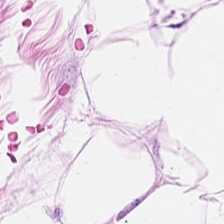Impression — adipose tissue.
